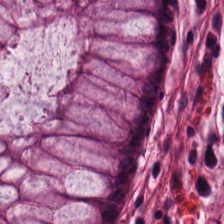Whole-slide-image patch · H&E stain.
Q: What is shown here?
A: The field shows normal colonic mucosa.
